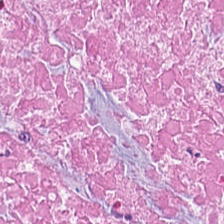{"tissue_type": "necrotic debris"}
